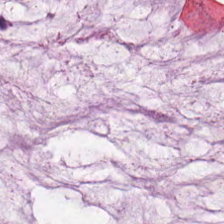Hematoxylin-and-eosin stained section. Predominant tissue: mucin.
